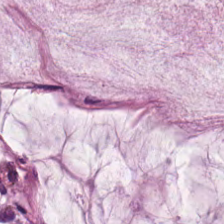H&E-stained tissue section · 0.5 µm/px.
Impression → mucus.
